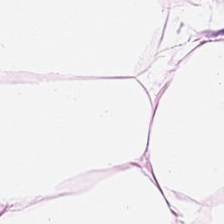Stain: H&E stain.
Classification: adipose tissue.
